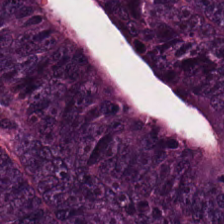224×224 pixel tile · H&E stain.
Impression — malignant epithelium.
